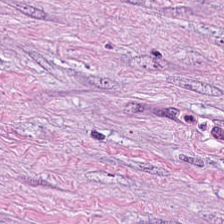0.5 µm per pixel; H&E-stained tissue section; brightfield — Q: What is the predominant tissue type?
A: It is cancer-associated stroma.
